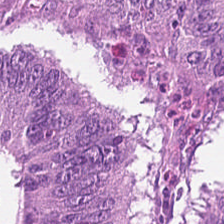Brightfield microscopy; H&E stain — Histology — colorectal adenocarcinoma.
